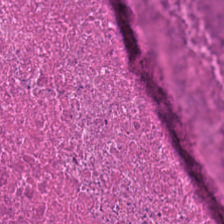H&E-stained tissue section; FFPE tissue section; whole-slide-image patch.
The predominant tissue is debris.
